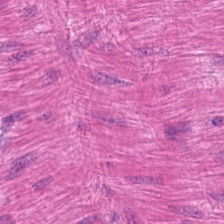H&E · FFPE · brightfield.
Impression → smooth muscle.
